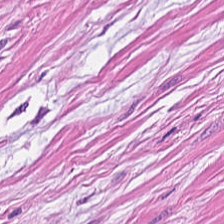Q: What does this patch show?
A: Smooth-muscle tissue.
